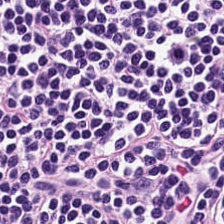Hematoxylin and eosin. The tissue here is lymphocytes.
